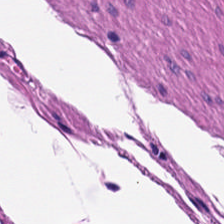Hematoxylin and eosin — Q: What does this patch show?
A: Muscularis.
